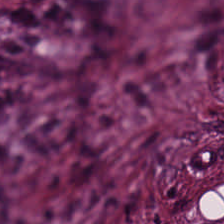Hematoxylin-and-eosin stained section. Formalin-fixed paraffin-embedded section. Histology → tumor stroma.
